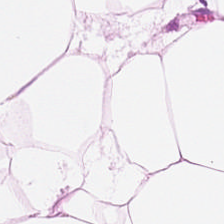Showing adipose.
